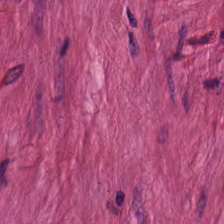Hematoxylin-and-eosin stained section.
The tissue here is muscularis.
